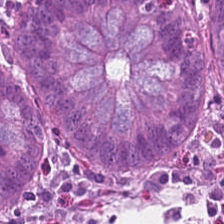H&E · formalin-fixed paraffin-embedded section · 20× equivalent magnification. This field is normal colonic mucosa.
